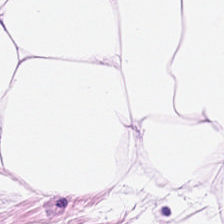Fat tissue.
